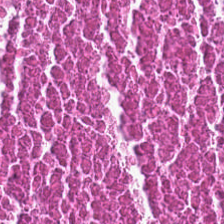Impression → necrotic debris.
